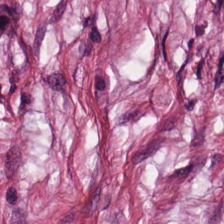Finding → tumor-associated stroma.
